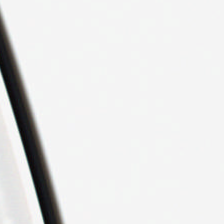WSI patch · H&E — Field content — background (no tissue).
